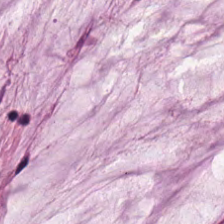H&E-stained tissue section showing extracellular mucin.
